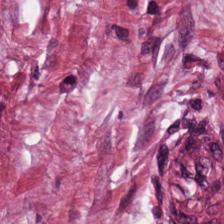Formalin-fixed paraffin-embedded section; H&E.
This field is desmoplastic stroma.
